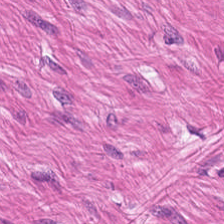Hematoxylin-and-eosin section: muscularis.
